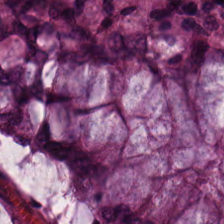Hematoxylin and eosin.
Tissue type — non-neoplastic colon mucosa.
